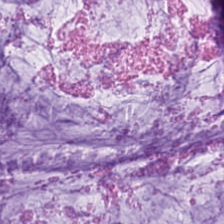Hematoxylin-and-eosin stained section.
Tissue: mucus.
